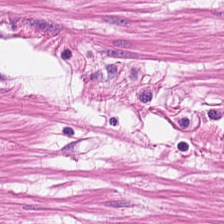H&E — Histology → smooth muscle.
